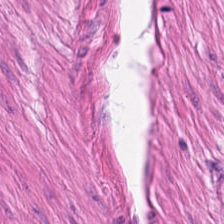Hematoxylin-and-eosin stained section. Tissue class: muscularis.
